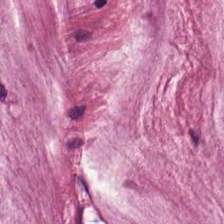Hematoxylin-and-eosin stained section. WSI patch. 0.5 µm/px. Showing mucin.
